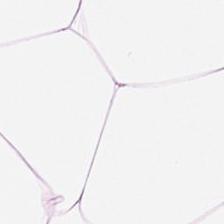Hematoxylin and eosin.
Showing adipocytes.
